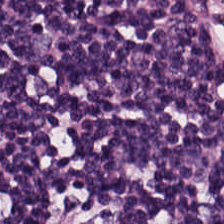FFPE tissue section · hematoxylin-and-eosin stained section. Classification — lymphocytes.
